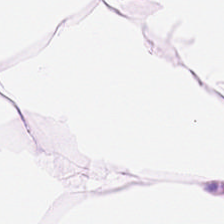H&E stain.
Histology — adipocytes.
